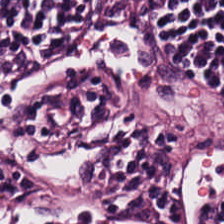Hematoxylin and eosin · 0.5 µm/px — Histology — lymphocytic infiltrate.
